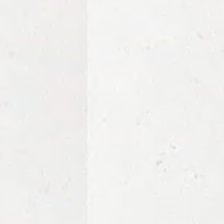H&E stain — Histology — no tissue.
